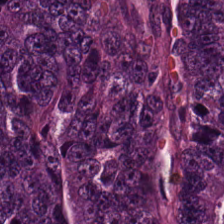Hematoxylin and eosin · FFPE. Finding → tumor epithelium.
